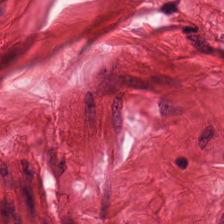Q: What is the predominant tissue type?
A: This is smooth-muscle tissue.
